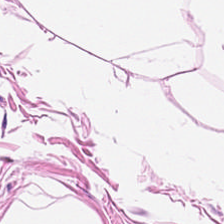Hematoxylin and eosin. Formalin-fixed paraffin-embedded section.
This patch shows fat tissue.
